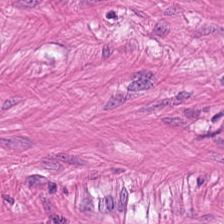H&E stain — Q: What type of tissue is this?
A: The field shows muscularis.
